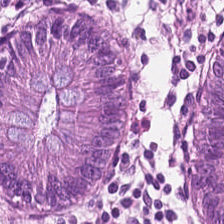Impression — normal colon mucosa.
